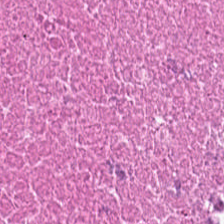Stain: H&E stain.
Predominant tissue: necrotic debris.
